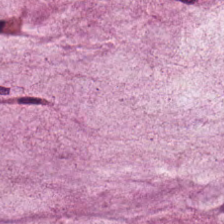Tissue class = mucin.
